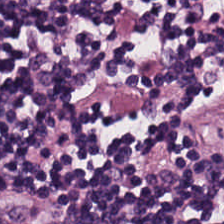Hematoxylin and eosin.
Lymphocyte aggregate.
